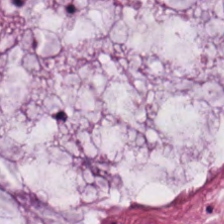FFPE tissue section · hematoxylin and eosin.
Q: What does this patch show?
A: It is mucin.
